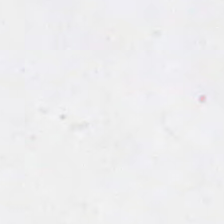Hematoxylin and eosin — Field content — background (no tissue).
